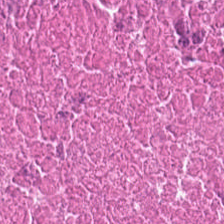Hematoxylin-and-eosin stained section. 0.5 µm per pixel — Q: What is shown here?
A: It is necrotic debris.
